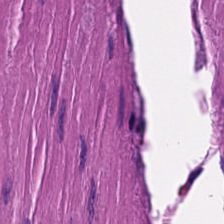Histology → smooth-muscle tissue.
